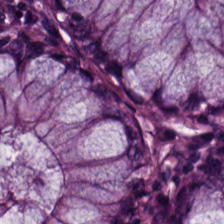Q: What is the predominant tissue type?
A: This is normal colon mucosa.
